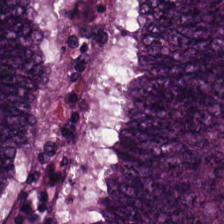Hematoxylin and eosin. FFPE tissue section. 224×224 pixel tile. The tissue here is adenocarcinoma.
